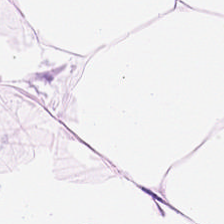0.5 µm per pixel. H&E. Formalin-fixed paraffin-embedded section — Predominantly fat tissue.
